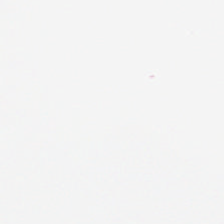Hematoxylin and eosin. Empty field — background.
